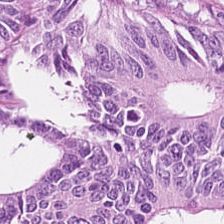Stain: H&E-stained tissue section.
Predominant tissue: colorectal adenocarcinoma epithelium.
